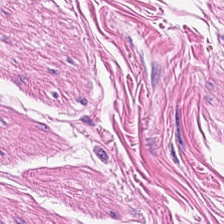Hematoxylin and eosin. Classification = smooth muscle.
